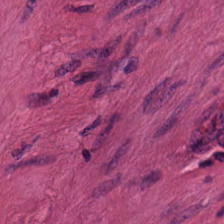Hematoxylin-and-eosin stained section.
Predominant tissue: muscularis.
